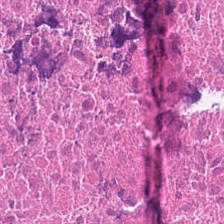Q: What type of tissue is this?
A: Cellular debris.
